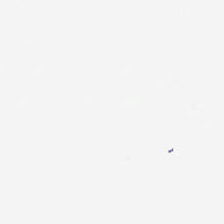WSI patch. H&E stain. FFPE. Finding → empty background.
